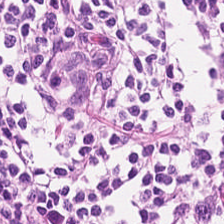H&E-stained tissue section; brightfield microscopy.
Classification = muscularis.
